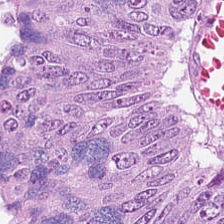Stain: H&E.
Predominant tissue: colorectal adenocarcinoma.
